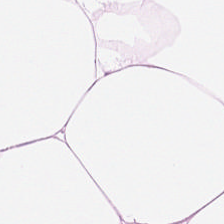Hematoxylin-and-eosin stained section. Formalin-fixed paraffin-embedded section. Brightfield microscopy — Showing adipose tissue.
